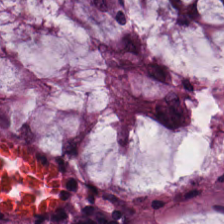Stain: hematoxylin-and-eosin stained section.
Tissue: normal colon mucosa.
